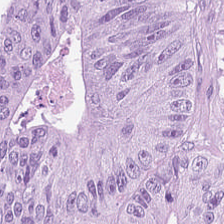Stain: H&E stain.
Acquisition: whole-slide-image patch.
Tile size: 224×224 px patch.
Classification: colorectal adenocarcinoma epithelium.
